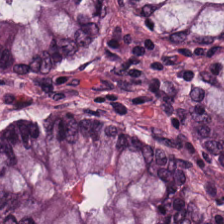Q: What does this patch show?
A: It is normal colon mucosa.
